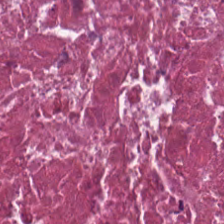Stain: H&E.
Tile size: 224×224 pixel tile.
Acquisition: whole-slide-image patch.
Tissue: debris.
